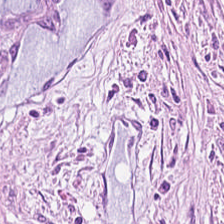H&E stain — Q: What type of tissue is this?
A: The field shows tumor-associated stroma.
